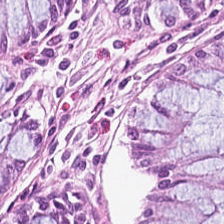FFPE · 224×224 pixel tile · H&E-stained tissue section. Tissue type: normal colon mucosa.
